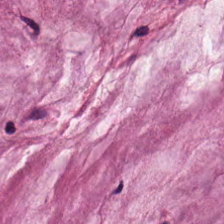Q: What is shown in this field?
A: It is mucin.
